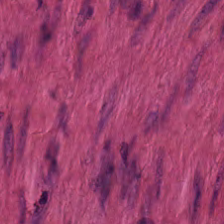Whole-slide-image patch; hematoxylin and eosin.
Q: Classify this patch.
A: Smooth muscle.
